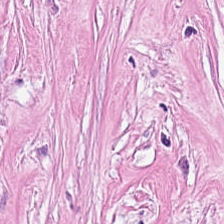H&E stain — {"tissue_type": "tumor stroma"}
